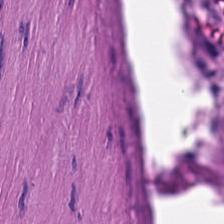Stain: H&E-stained tissue section.
Acquisition: whole-slide-image patch.
Classification: smooth-muscle tissue.
